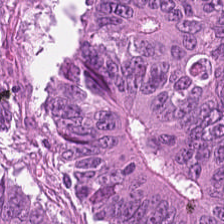Hematoxylin and eosin. The predominant tissue is adenocarcinoma.
